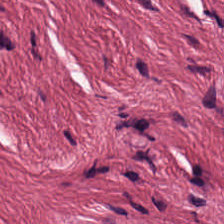This field is tumor-associated stroma.
